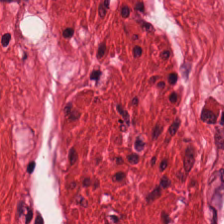The tissue here is muscularis.
